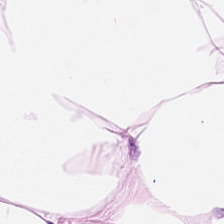Stain: hematoxylin-and-eosin stained section.
Tile size: 224×224 pixel tile.
Tissue class: adipose tissue.
